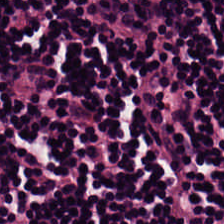Hematoxylin and eosin. Q: What is the predominant tissue type?
A: This is lymphoid infiltrate.
